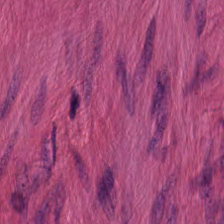Impression → smooth muscle.
